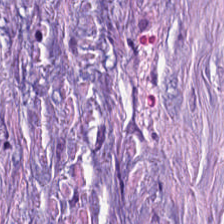H&E — tumor stroma.
